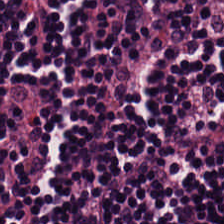FFPE tissue section · hematoxylin-and-eosin stained section. Predominant tissue — lymphocytes.
